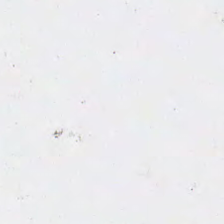H&E-stained tissue section. Q: Classify this patch.
A: Background.
